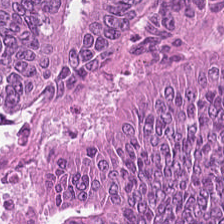Tumor epithelium.
